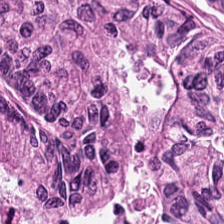Q: Identify the tissue.
A: The field shows colorectal adenocarcinoma.
